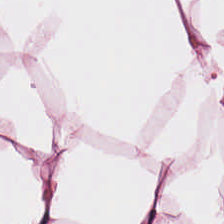This patch shows adipocytes.
